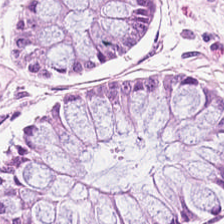Stain: H&E.
Resolution: 0.5 µm per pixel.
Tissue type: benign colonic mucosa.
